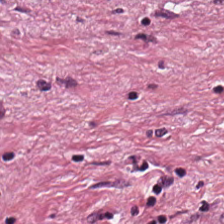Hematoxylin-and-eosin stained section.
Impression — desmoplastic stroma.
